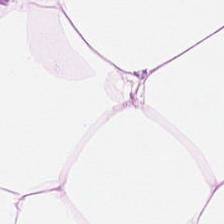Q: What is shown here?
A: It is fat tissue.
